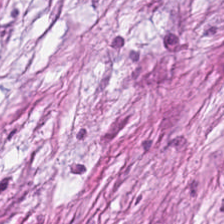Hematoxylin and eosin. This patch shows tumor-associated stroma.
